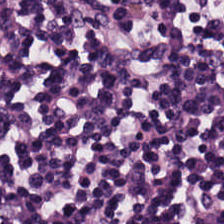Hematoxylin and eosin; FFPE — Q: What does this patch show?
A: The field shows lymphocyte aggregate.
